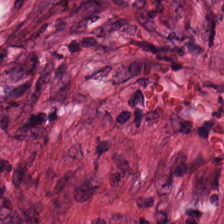Hematoxylin-and-eosin stained section.
Tissue — tumor stroma.
